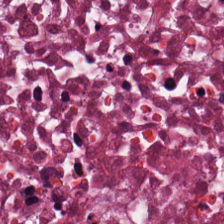224×224 pixel tile; H&E stain.
{"tissue_type": "cellular debris"}
